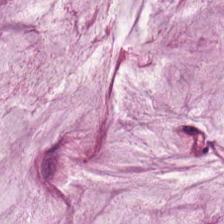Hematoxylin-and-eosin section: mucus.
